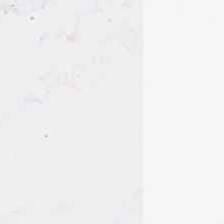Stain: H&E.
Content: background (no tissue).
